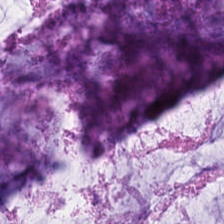Tissue — mucus.
